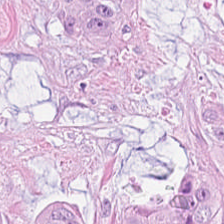H&E. The predominant tissue is adenocarcinoma.
